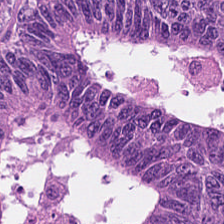Classification: colorectal adenocarcinoma epithelium.
